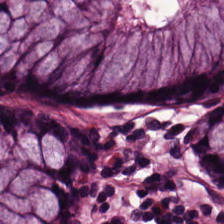The classification is benign colonic mucosa.
